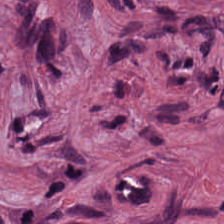Predominant tissue = tumor stroma.
